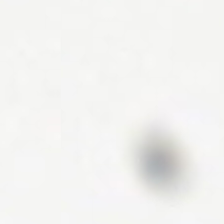Hematoxylin-and-eosin stained section — Q: Classify this patch.
A: It is empty background.
